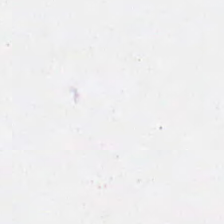H&E — Background — no tissue in this field.
